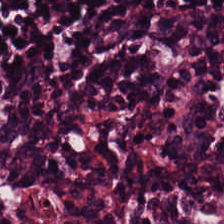Hematoxylin-and-eosin stained section. Tissue class = lymphoid infiltrate.
